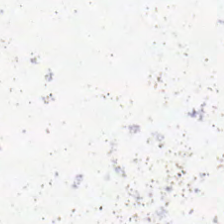20× equivalent magnification · formalin-fixed paraffin-embedded section · H&E stain. {"content": "background"}
